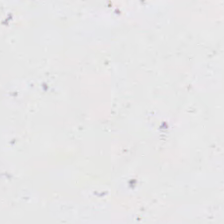Hematoxylin and eosin · whole-slide-image patch. Finding → background (no tissue).
